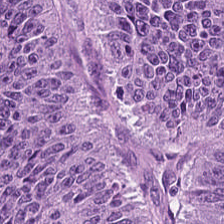Tissue type = adenocarcinoma.
